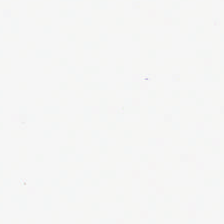{"content": "empty background"}
